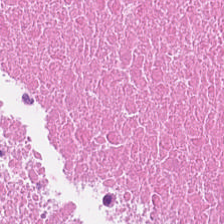Formalin-fixed paraffin-embedded section · H&E-stained tissue section — Tissue type: debris.
